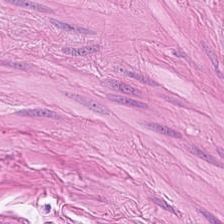H&E stain — This field is muscularis.
